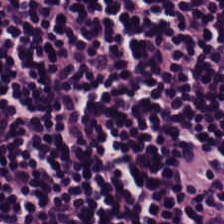H&E. Tissue class — lymphoid infiltrate.
